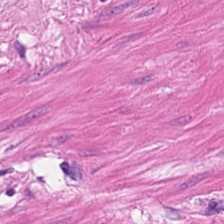H&E-stained section; the field shows smooth muscle.
